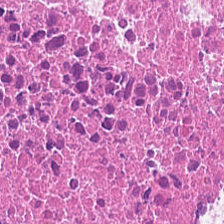Hematoxylin and eosin — This field is debris.
